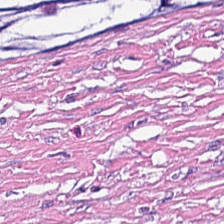Brightfield microscopy · H&E · 0.5 microns per pixel.
{"tissue_type": "tumor stroma"}
